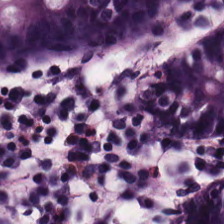Formalin-fixed paraffin-embedded section · 20× equivalent magnification · H&E stain. This field is normal colonic mucosa.
